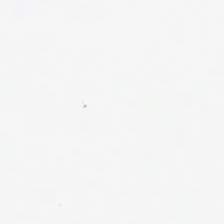Hematoxylin and eosin.
No tissue.
